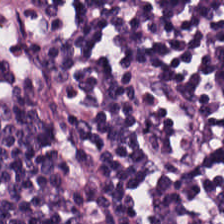0.5 microns per pixel. H&E. This field is lymphocytes.
